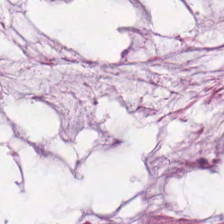H&E stain. The tissue here is mucin.
